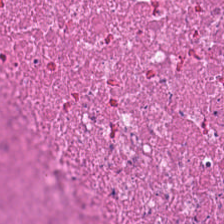H&E-stained tissue section. This field is debris.
